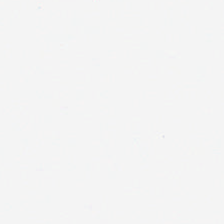H&E-stained tissue section.
Field content = no tissue.
